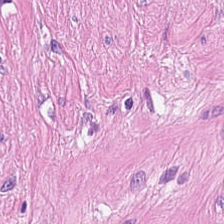224×224 px patch. H&E stain. WSI patch — Tissue type — smooth muscle.
